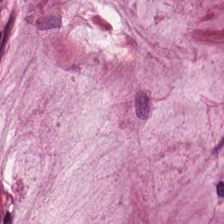H&E stain. The predominant tissue is mucin.
